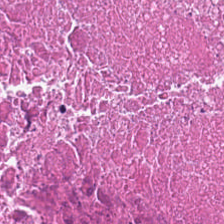FFPE · hematoxylin-and-eosin stained section · 0.5 µm/px. Histology — cellular debris.
